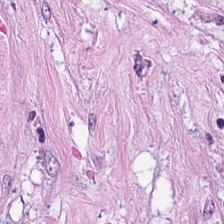{"tissue_type": "tumor-associated stroma"}
